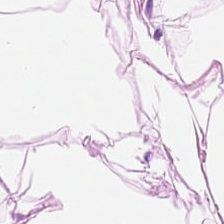Stain: H&E-stained tissue section.
Preparation: formalin-fixed paraffin-embedded section.
Resolution: 20× equivalent magnification.
Tissue: adipose.
